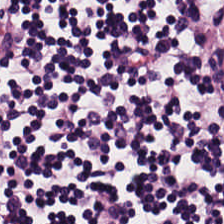Hematoxylin-and-eosin stained section · 224×224 pixel tile · 0.5 µm/px. This patch shows lymphocytes.
